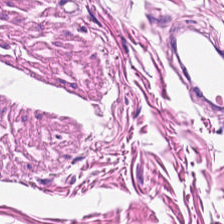WSI patch. Hematoxylin and eosin. 224×224 pixel tile — Tissue: smooth-muscle tissue.
